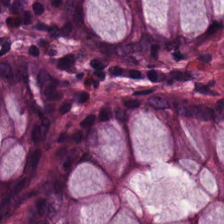H&E-stained tissue section. The tissue here is benign colonic mucosa.
